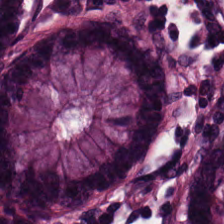H&E. Tissue class — normal colonic mucosa.
